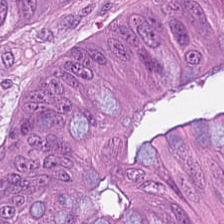Q: What tissue type is shown here?
A: It is colorectal adenocarcinoma epithelium.
